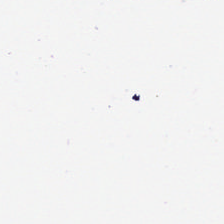Hematoxylin and eosin · 224×224 pixel tile · 0.5 microns per pixel — Content — background (no tissue).
